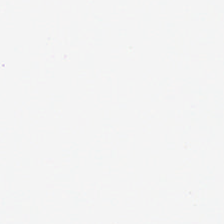Hematoxylin-and-eosin stained section · FFPE. Content = empty background.
